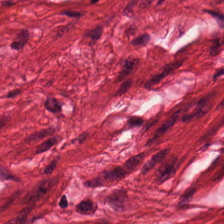Stain: hematoxylin-and-eosin stained section.
Tile size: 224×224 px patch.
Predominant tissue: smooth muscle.
